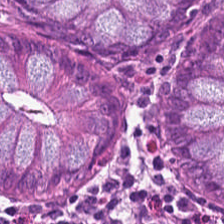H&E-stained tissue section · 224×224 pixel tile.
The tissue here is normal colonic mucosa.
